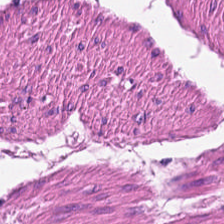Formalin-fixed paraffin-embedded section; hematoxylin-and-eosin stained section. Predominantly muscularis.
